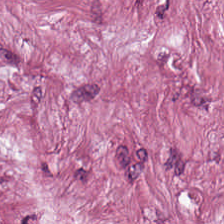Tumor stroma.
